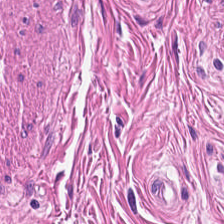Hematoxylin-and-eosin stained section. 224×224 px tile.
This patch shows muscularis.
